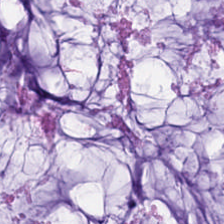Hematoxylin and eosin — Showing mucin.
